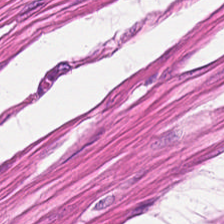Hematoxylin-and-eosin stained section.
This field is smooth-muscle tissue.
